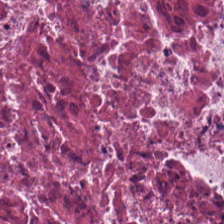H&E stain. Tissue type: cellular debris.
